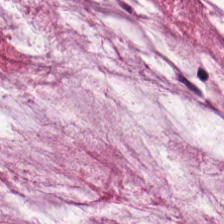Hematoxylin and eosin. Showing mucin.
